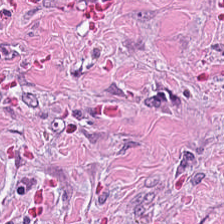Tumor-associated stroma.
